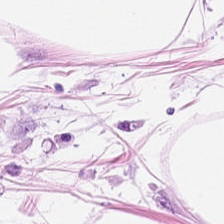H&E. Q: Classify this patch.
A: This is adipocytes.
